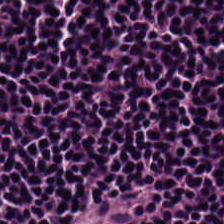Stain: H&E-stained tissue section.
Tile size: 224×224 px tile.
Tissue: lymphocyte aggregate.
